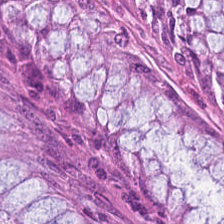H&E — This patch shows benign colonic mucosa.
